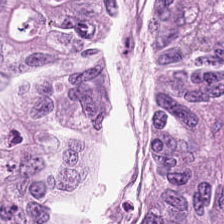Hematoxylin-and-eosin stained section. Showing adenocarcinoma.
